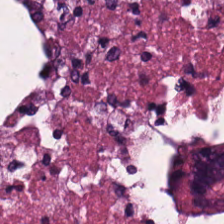0.5 µm/px; hematoxylin and eosin; formalin-fixed paraffin-embedded section. Predominant tissue = cellular debris.
